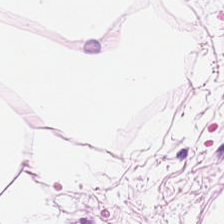Q: What tissue is shown?
A: Adipocytes.
